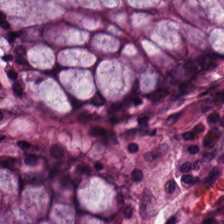FFPE. H&E stain. Showing normal colon mucosa.
